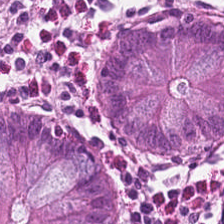Whole-slide-image patch. 0.5 microns per pixel. H&E. Finding → normal colonic mucosa.
